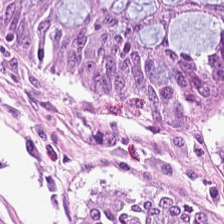Predominant tissue = non-neoplastic colon mucosa.
